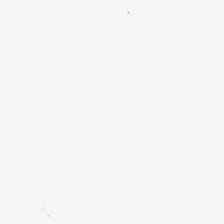Empty field — background (no tissue).
